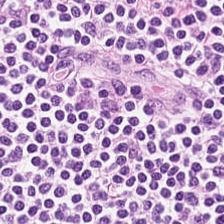Tissue — lymphocyte aggregate.
